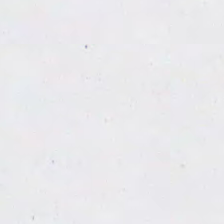Background — no tissue in this field.
